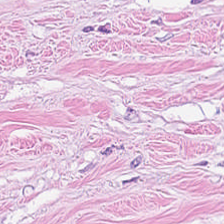Formalin-fixed paraffin-embedded section · whole-slide-image patch · hematoxylin-and-eosin stained section — Predominant tissue: tumor-associated stroma.
